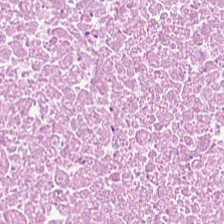Q: Classify this patch.
A: This is necrotic debris.
